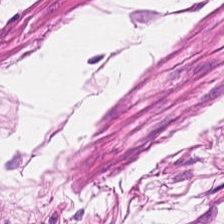H&E patch showing muscularis.
